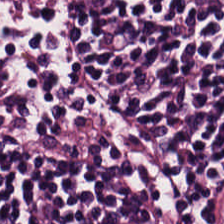H&E.
{"tissue_type": "lymphocyte aggregate"}
